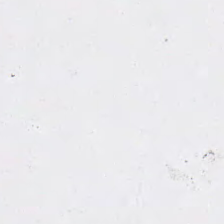Q: What is shown here?
A: It is background.
